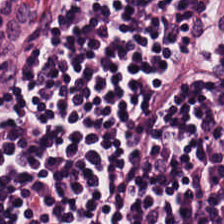Predominantly lymphocytes.
